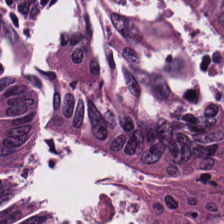H&E. Formalin-fixed paraffin-embedded section. Predominant tissue — malignant epithelium.
